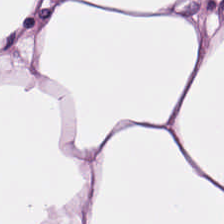H&E stain.
This patch shows adipose.
